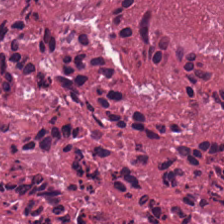Hematoxylin-and-eosin stained section.
Showing necrotic debris.
